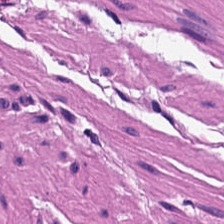H&E-stained tissue section — This field is smooth-muscle tissue.
